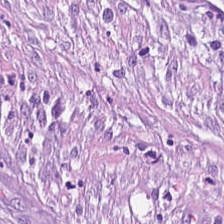H&E-stained tissue section.
The predominant tissue is tumor stroma.
